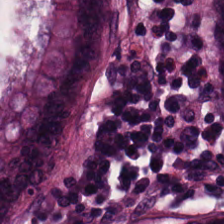H&E-stained tissue section.
Predominant tissue — non-neoplastic colon mucosa.
